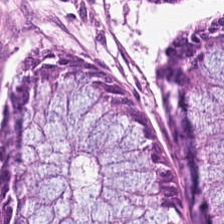Brightfield · 20× equivalent magnification · hematoxylin-and-eosin stained section.
Predominant tissue: non-neoplastic colon mucosa.
